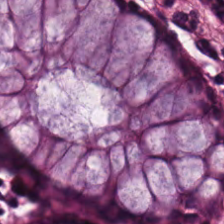WSI patch; 224×224 px patch; hematoxylin-and-eosin stained section — Q: What is shown in this field?
A: The field shows normal colon mucosa.
